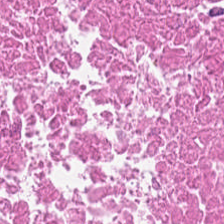H&E stain; 224×224 px patch; WSI patch — The predominant tissue is cellular debris.
